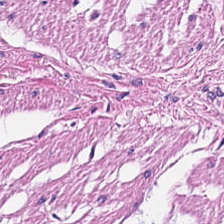H&E.
{"tissue_type": "muscularis"}
